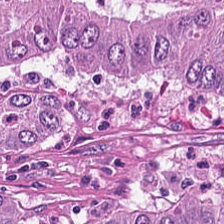Stain: H&E-stained tissue section.
Acquisition: brightfield microscopy.
Classification: malignant epithelium.
